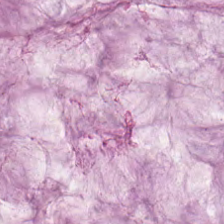H&E; 0.5 µm per pixel.
{"tissue_type": "mucin"}
